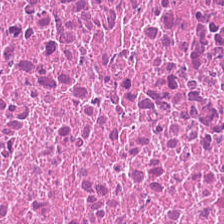Formalin-fixed paraffin-embedded section. H&E.
Predominant tissue — cellular debris.
